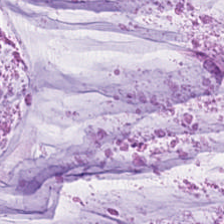0.5 microns per pixel. H&E — Mucus.
